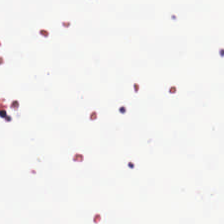H&E stain — Content = background (no tissue).
